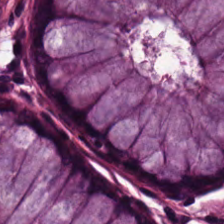Stain: H&E.
Classification: normal colon mucosa.
